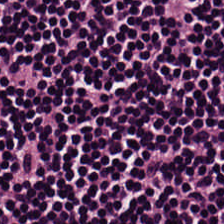H&E-stained tissue section.
Lymphocytes.
